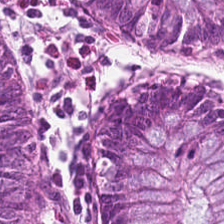Stain: hematoxylin-and-eosin stained section.
Classification: non-neoplastic colon mucosa.
